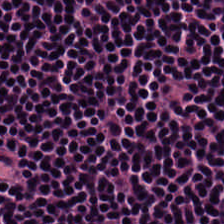H&E-stained tissue section. 224×224 pixel tile.
Classification: lymphocytic infiltrate.
